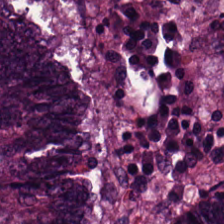224×224 px patch; H&E stain. Showing colorectal adenocarcinoma epithelium.
